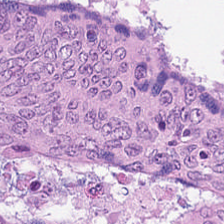H&E stain. Whole-slide-image patch.
Impression — colorectal adenocarcinoma epithelium.
